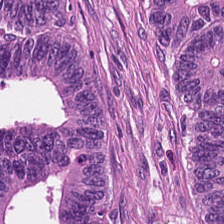Hematoxylin and eosin.
Finding → colorectal adenocarcinoma.
